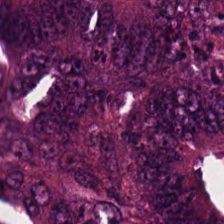H&E — Malignant epithelium.
